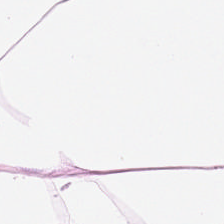H&E stain. This field is adipocytes.
